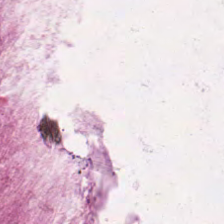224×224 px patch · H&E-stained tissue section. The tissue here is mucin.
